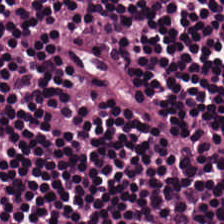FFPE; H&E stain — Predominantly lymphocytic infiltrate.
